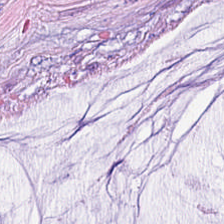Whole-slide-image patch; hematoxylin-and-eosin stained section — Impression — extracellular mucin.
